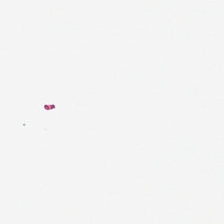Stain: H&E.
Preparation: FFPE.
Resolution: 0.5 µm/px.
Field content: empty background.
